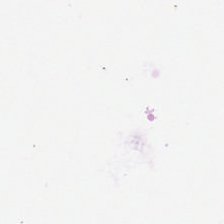Hematoxylin and eosin. Background — no tissue in this field.
